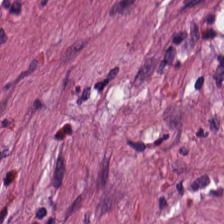H&E · 20× equivalent magnification — Predominant tissue: cancer-associated stroma.
